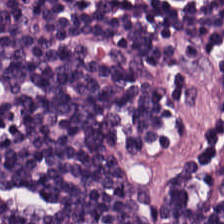20× equivalent magnification; hematoxylin-and-eosin stained section — The predominant tissue is lymphocyte aggregate.
